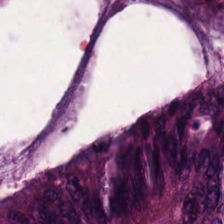H&E; brightfield microscopy — The tissue type is colorectal adenocarcinoma epithelium.
